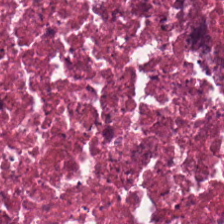Stain: H&E stain.
Predominant tissue: cellular debris.
